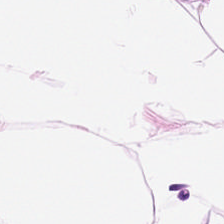Tissue: fat tissue.
